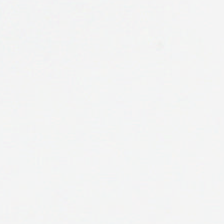Hematoxylin-and-eosin stained section; 0.5 µm per pixel. Q: What is shown in this field?
A: This is no tissue.
